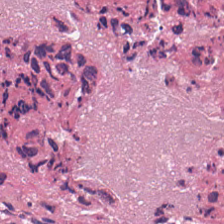H&E. Q: Identify the tissue.
A: The field shows necrotic debris.
